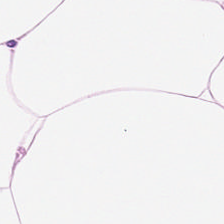Predominant tissue: adipocytes.
